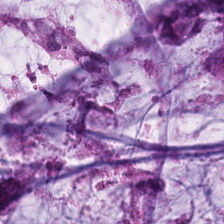H&E stain.
Showing mucus.
